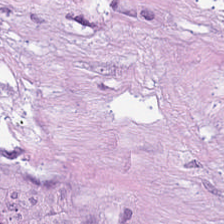Stain: hematoxylin-and-eosin stained section.
Tile size: 224×224 px tile.
Tissue class: tumor-associated stroma.
